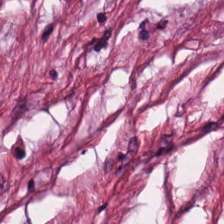H&E — Finding — tumor stroma.
